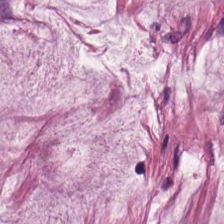Stain: hematoxylin-and-eosin stained section.
Acquisition: whole-slide-image patch.
Resolution: 20× equivalent magnification.
Tissue type: mucus.
